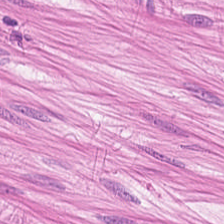H&E. Tissue type — smooth muscle.
